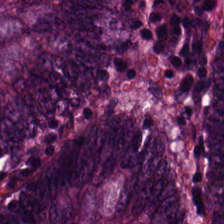Hematoxylin and eosin · 224×224 px patch · 0.5 microns per pixel — This field is malignant epithelium.
